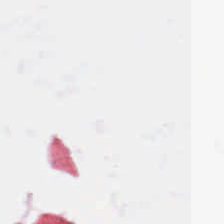H&E-stained tissue section · brightfield · FFPE. The field content is no tissue.
